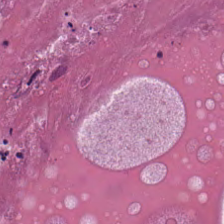Stain: H&E stain.
Tile size: 224×224 pixel tile.
Tissue: cellular debris.
